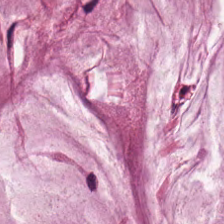H&E-stained tissue section.
Tissue type = mucus.
